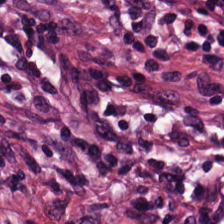H&E stain; whole-slide-image patch; 0.5 µm/px — The tissue is tumor stroma.
